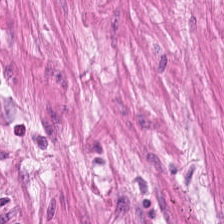Hematoxylin-and-eosin stained section · whole-slide-image patch.
This field is smooth-muscle tissue.
